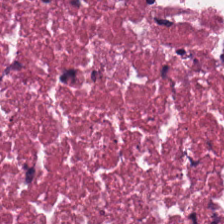Histology — necrotic debris.
